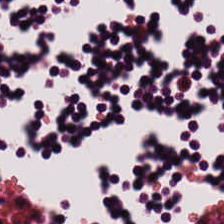FFPE tissue section · H&E-stained tissue section · 224×224 pixel tile — Q: What does this patch show?
A: It is lymphocytes.
